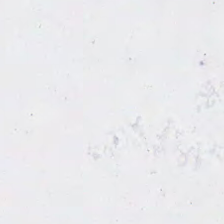Histology — background.
